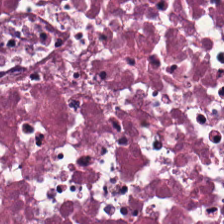Stain: H&E.
Classification: debris.
